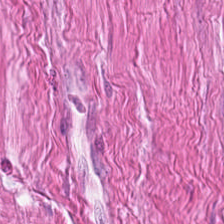H&E. The predominant tissue is muscularis.
